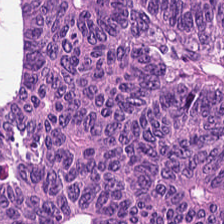FFPE · H&E stain. Tumor epithelium.
